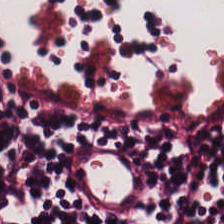H&E-stained tissue section — This field is lymphocytes.
